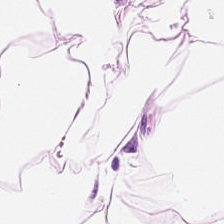Impression — adipocytes.
